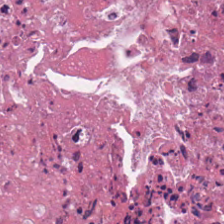H&E · 224×224 px patch.
Q: What is shown in this field?
A: Debris.
